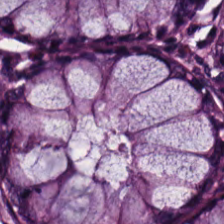H&E-stained tissue section. Q: Identify the tissue.
A: This is benign colonic mucosa.
